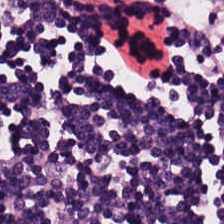Whole-slide-image patch. Hematoxylin and eosin. Impression — lymphocyte aggregate.
